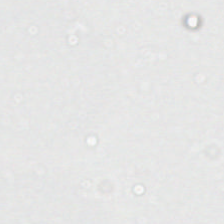Hematoxylin-and-eosin stained section. FFPE. 0.5 µm per pixel — Content: background (no tissue).
